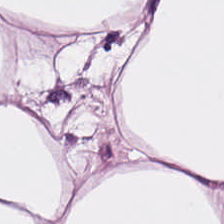H&E-stained tissue section · 224×224 px tile.
The predominant tissue is adipose tissue.
